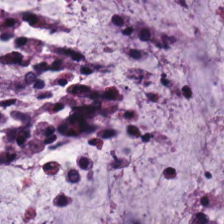H&E.
Tissue = extracellular mucin.
